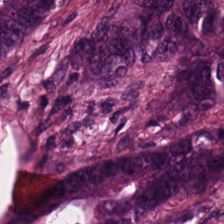0.5 microns per pixel · hematoxylin and eosin. This field is colorectal adenocarcinoma.
